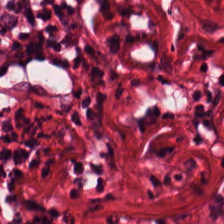Hematoxylin-and-eosin stained section.
Finding → cancer-associated stroma.
